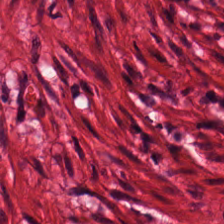224×224 px patch · hematoxylin-and-eosin stained section — Predominant tissue — muscularis.
